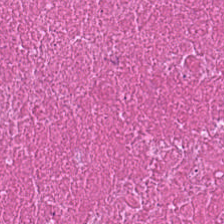H&E stain · brightfield microscopy — Tissue = debris.
